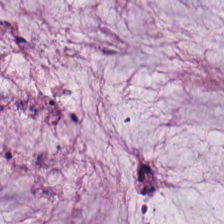H&E stain. WSI patch.
Showing mucin.
